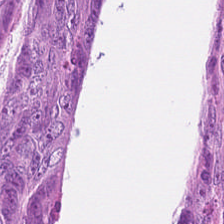Stain: H&E.
Preparation: FFPE.
Predominant tissue: malignant epithelium.
